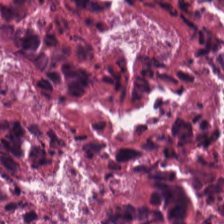Brightfield · FFPE tissue section · hematoxylin-and-eosin stained section.
Tissue class: cellular debris.
